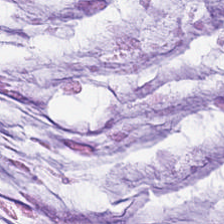Hematoxylin-and-eosin stained section.
Extracellular mucin.
